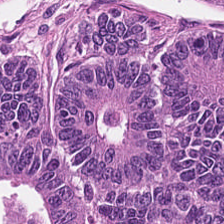Hematoxylin-and-eosin stained section · 0.5 µm per pixel. Predominantly colorectal adenocarcinoma.
